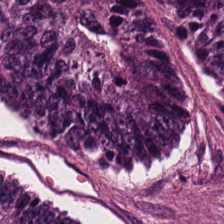H&E; 224×224 pixel tile — Showing malignant epithelium.
